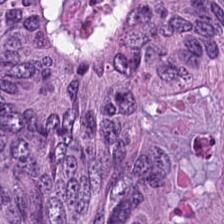FFPE. H&E-stained tissue section — Tumor epithelium.
